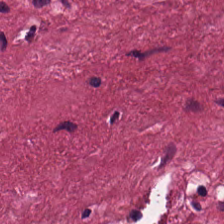Hematoxylin and eosin. FFPE tissue section. WSI patch — Q: What is the predominant tissue type?
A: Desmoplastic stroma.
